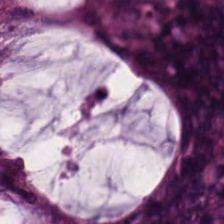Hematoxylin-and-eosin stained section.
Tissue — colorectal adenocarcinoma epithelium.
